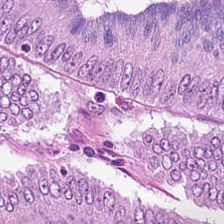Q: What does this patch show?
A: Malignant epithelium.
